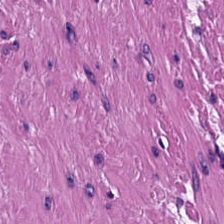H&E stain. Predominant tissue = smooth muscle.
